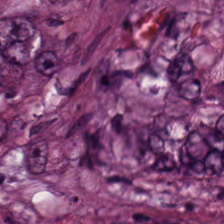H&E-stained tissue section · 224×224 px tile. This patch shows colorectal adenocarcinoma epithelium.
